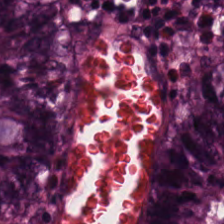Hematoxylin-and-eosin stained section — Q: Classify this patch.
A: The field shows benign colonic mucosa.
